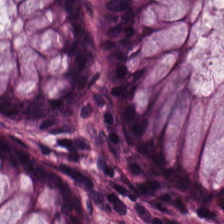H&E-stained tissue section. This patch shows benign colonic mucosa.
